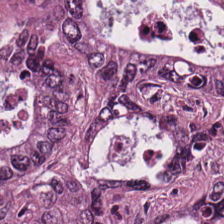H&E stain · FFPE — The tissue here is tumor epithelium.
